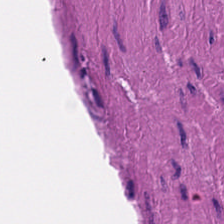H&E-stained tissue section.
Tissue type: smooth muscle.
